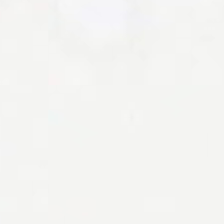{"content": "background"}
